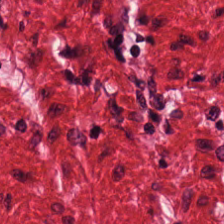Hematoxylin and eosin — Predominantly smooth muscle.
